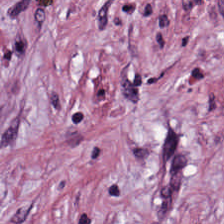H&E-stained tissue section. Tissue class — tumor stroma.
